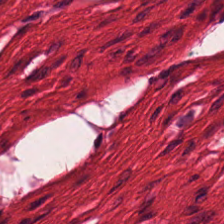Hematoxylin-and-eosin stained section; 0.5 µm per pixel — Finding — smooth muscle.
